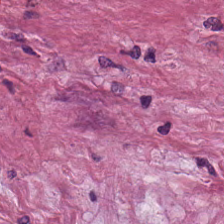Hematoxylin and eosin. Q: What type of tissue is this?
A: This is desmoplastic stroma.
